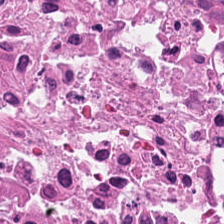H&E stain. 20× equivalent magnification. Brightfield.
The predominant tissue is necrotic debris.
